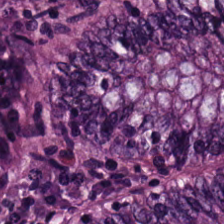H&E stain. Formalin-fixed paraffin-embedded section. 224×224 px tile. Finding — non-neoplastic colon mucosa.
